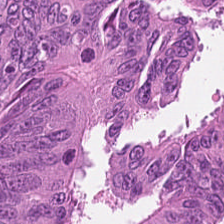H&E stain — The tissue here is malignant epithelium.
